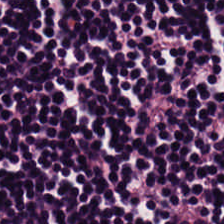H&E; 224×224 px patch. This field is lymphocyte aggregate.
